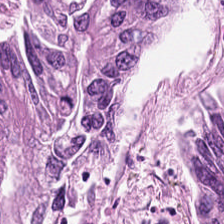Hematoxylin-and-eosin stained section · brightfield. Finding → colorectal adenocarcinoma epithelium.
